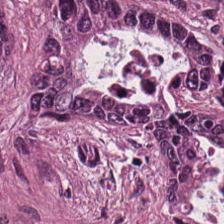Brightfield microscopy. 224×224 px patch. H&E-stained tissue section — The tissue class is malignant epithelium.
